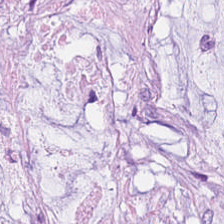Hematoxylin-and-eosin stained section — Showing extracellular mucin.
